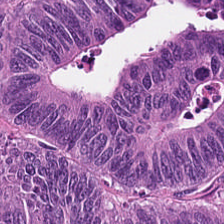Hematoxylin-and-eosin stained section. Q: What is shown here?
A: This is malignant epithelium.
